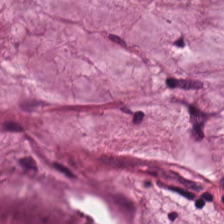224×224 px patch · H&E stain. Q: What type of tissue is this?
A: The field shows mucus.
